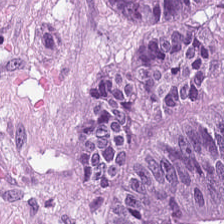FFPE tissue section. H&E-stained tissue section — Q: What is shown in this field?
A: It is colorectal adenocarcinoma epithelium.
